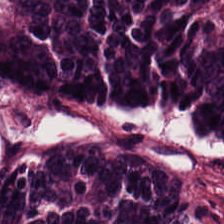Q: What tissue type is shown here?
A: The field shows malignant epithelium.
